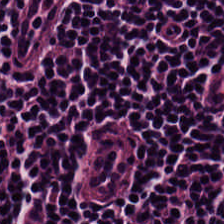Hematoxylin-and-eosin stained section · 0.5 microns per pixel · 224×224 px tile — Tissue class = lymphocytic infiltrate.
